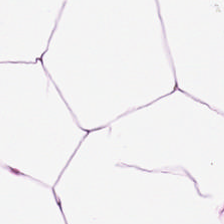224×224 px patch · hematoxylin and eosin. Tissue class = adipose.
